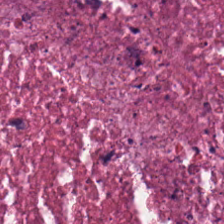Classification: necrotic debris.
